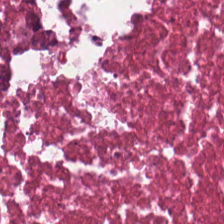Hematoxylin-and-eosin stained section. 224×224 px patch — Predominantly cellular debris.
